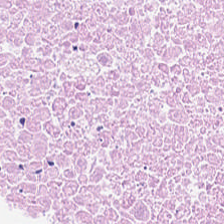H&E stain. {"tissue_type": "cellular debris"}
